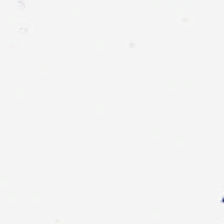Empty background.
